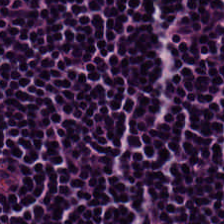Stain: hematoxylin and eosin.
Acquisition: brightfield.
Predominant tissue: lymphocyte aggregate.
